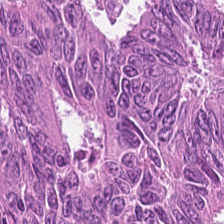{"tissue_type": "malignant epithelium"}
